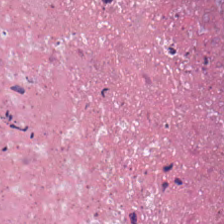Stain: hematoxylin-and-eosin stained section.
Tissue class: cellular debris.
